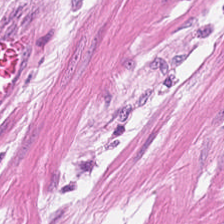Showing smooth-muscle tissue.
